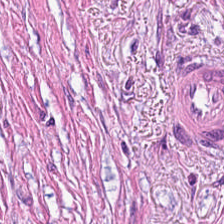0.5 µm per pixel; H&E-stained tissue section — {"tissue_type": "tumor stroma"}
